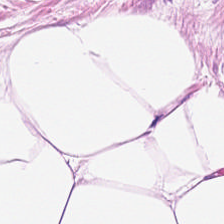H&E stain. The classification is fat tissue.
